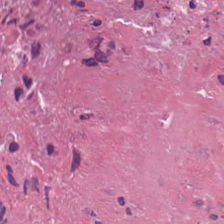Stain: H&E stain.
Classification: necrotic debris.
